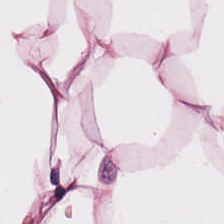H&E-stained tissue section. 0.5 µm per pixel. Adipose tissue.
